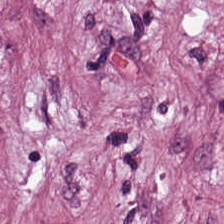Hematoxylin-and-eosin stained section. The tissue here is tumor-associated stroma.
